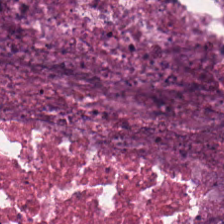Q: What does this patch show?
A: The field shows cellular debris.
